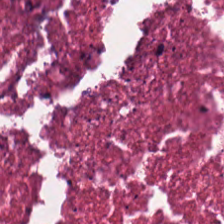H&E stain — Q: Identify the tissue.
A: It is necrotic debris.
